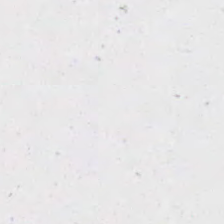H&E; 224×224 px tile.
The content is empty background.
